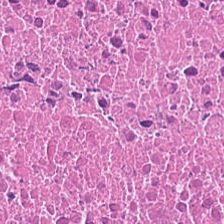224×224 pixel tile; brightfield microscopy; hematoxylin-and-eosin stained section — This field is necrotic debris.
